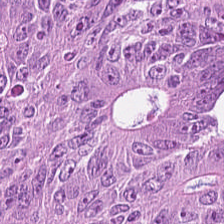Predominantly colorectal adenocarcinoma epithelium.
